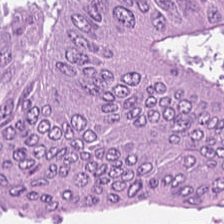This field is malignant epithelium.
